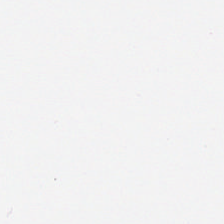Hematoxylin and eosin — This patch shows background.
